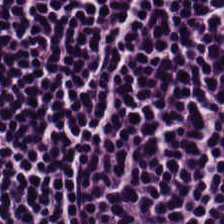H&E; brightfield microscopy — Tissue class: lymphocyte aggregate.
